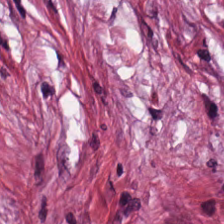H&E. The tissue here is cancer-associated stroma.
